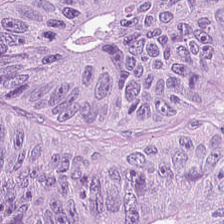This patch shows colorectal adenocarcinoma epithelium.
